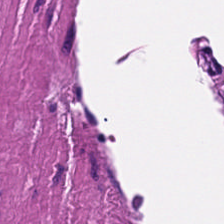20× equivalent magnification; H&E stain — The tissue here is smooth muscle.
